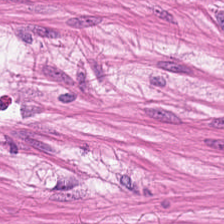Hematoxylin-and-eosin stained section. 20× equivalent magnification. This field is smooth-muscle tissue.
